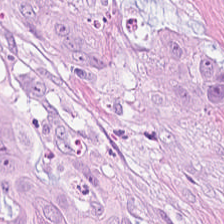Hematoxylin-and-eosin stained section.
Finding — malignant epithelium.
